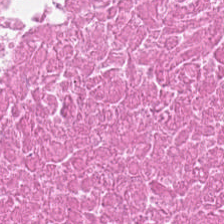H&E stain.
Predominantly necrotic debris.
